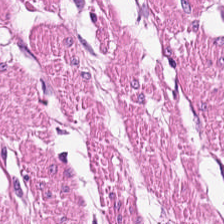Predominantly muscularis.
